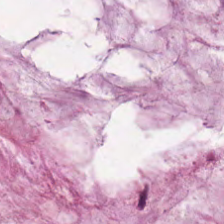Q: What tissue type is shown here?
A: Mucin.
